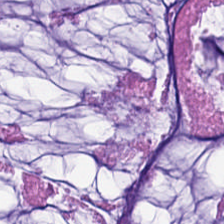H&E stain. This field is extracellular mucin.
